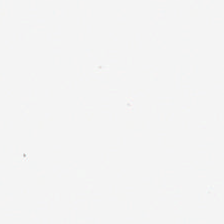Content = no tissue.
